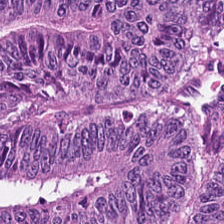H&E-stained tissue section — The predominant tissue is colorectal adenocarcinoma epithelium.
